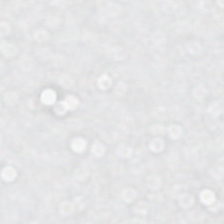Stain: H&E.
Acquisition: WSI patch.
Field content: background (no tissue).
